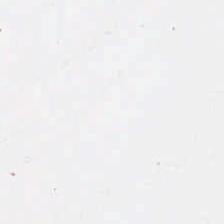Hematoxylin-and-eosin stained section — Empty field — no tissue.
